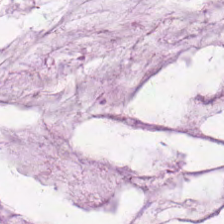Hematoxylin and eosin.
Showing mucus.
